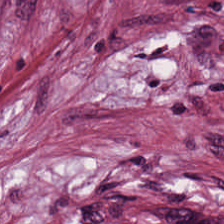H&E-stained tissue section. Impression → cancer-associated stroma.
